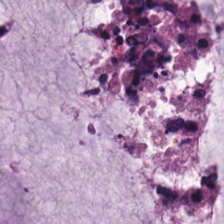H&E. Q: Identify the tissue.
A: This is mucus.
